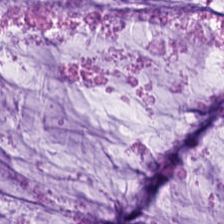FFPE tissue section · hematoxylin-and-eosin stained section · whole-slide-image patch. The tissue here is mucin.
